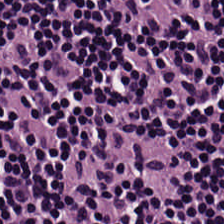Hematoxylin and eosin. Tissue type: lymphoid infiltrate.
